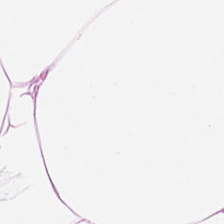Stain: hematoxylin and eosin.
Tile size: 224×224 pixel tile.
Classification: adipocytes.
